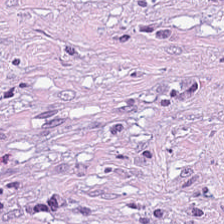H&E stain.
The tissue here is tumor-associated stroma.
